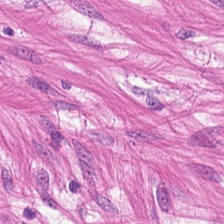Hematoxylin and eosin · brightfield · 0.5 microns per pixel — Classification: muscularis.
